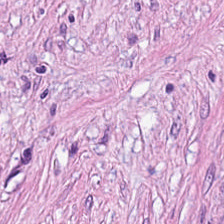Formalin-fixed paraffin-embedded section · H&E-stained tissue section · brightfield microscopy.
Predominantly desmoplastic stroma.
